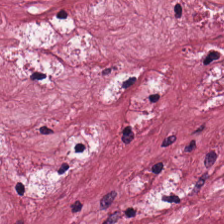Brightfield. Hematoxylin-and-eosin stained section — Tissue class: desmoplastic stroma.
